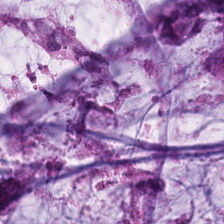H&E.
Q: What is the predominant tissue type?
A: Extracellular mucin.
